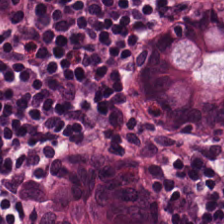The classification is non-neoplastic colon mucosa.
